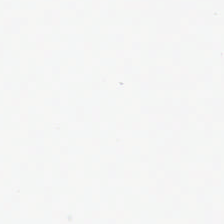Hematoxylin-and-eosin stained section.
Empty field — background.
